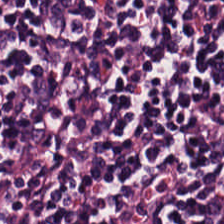H&E stain. This field is lymphoid infiltrate.
